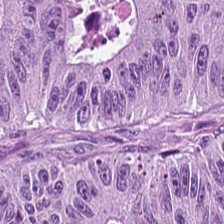224×224 pixel tile; hematoxylin and eosin.
This patch shows malignant epithelium.
